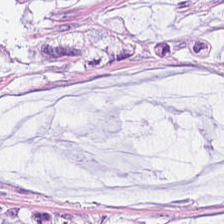Classification: extracellular mucin.
